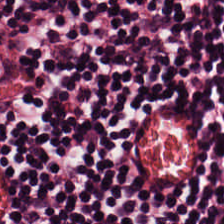Stain: H&E stain.
Tissue type: lymphocytes.
